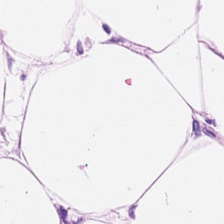WSI patch; H&E-stained tissue section — This field is adipose tissue.
